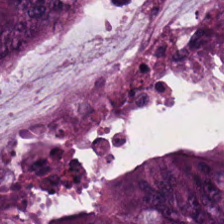Hematoxylin and eosin. {"tissue_type": "adenocarcinoma"}
